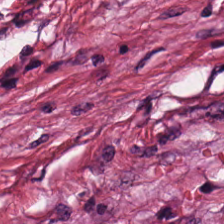H&E · 0.5 microns per pixel. This patch shows tumor-associated stroma.
